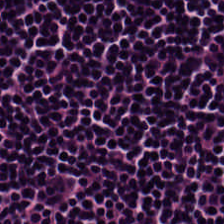Hematoxylin and eosin — Tissue = lymphoid infiltrate.
